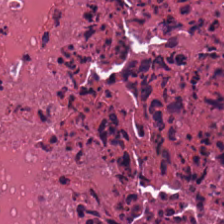FFPE · H&E stain · whole-slide-image patch — Necrotic debris.
